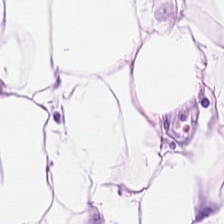Predominantly adipocytes.
